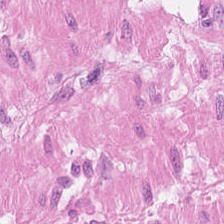H&E. 0.5 microns per pixel. Formalin-fixed paraffin-embedded section — This patch shows muscularis.
